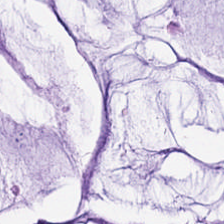Hematoxylin-and-eosin stained section. Brightfield — The tissue type is mucus.
